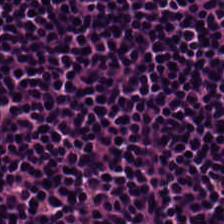Hematoxylin-and-eosin stained section · 0.5 microns per pixel · FFPE tissue section.
Q: What tissue type is shown here?
A: The field shows lymphocyte aggregate.
